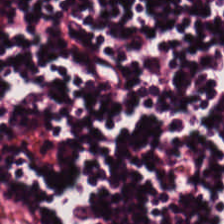H&E stain — {"tissue_type": "lymphoid infiltrate"}
